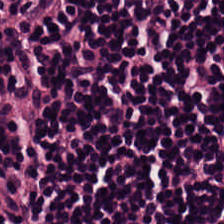Hematoxylin and eosin.
Tissue class = lymphoid infiltrate.
